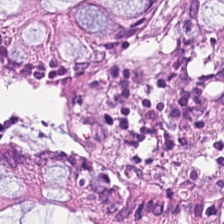FFPE tissue section; hematoxylin-and-eosin stained section; 224×224 pixel tile — The tissue here is normal colon mucosa.
